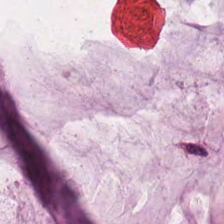Hematoxylin and eosin — Q: What tissue is shown?
A: It is mucus.
